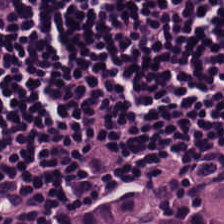Hematoxylin-and-eosin stained section.
Impression → lymphocytes.
